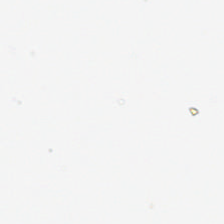H&E.
No tissue present; background only.
